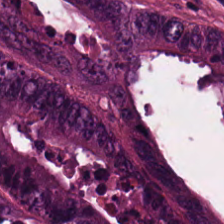Hematoxylin and eosin — Predominant tissue — adenocarcinoma.
